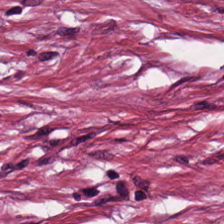Hematoxylin and eosin — Classification — desmoplastic stroma.
